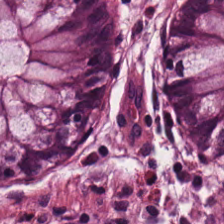Brightfield; H&E stain — Classification — normal colonic mucosa.
